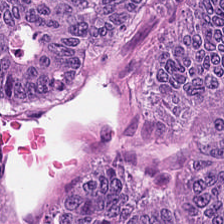WSI patch · hematoxylin and eosin.
Tumor epithelium.
